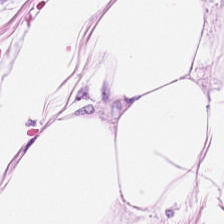Hematoxylin-and-eosin stained section.
This field is adipose tissue.
